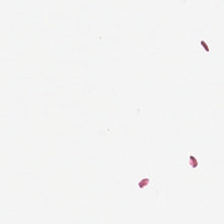H&E stain.
This patch shows background (no tissue).
